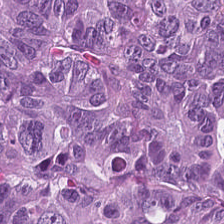Stain: H&E.
Tissue: colorectal adenocarcinoma epithelium.
